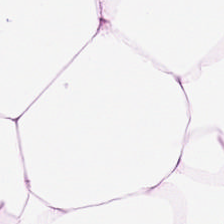H&E-stained tissue section showing adipocytes.
